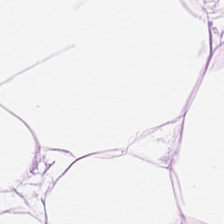Hematoxylin-and-eosin stained section.
The tissue here is adipocytes.
